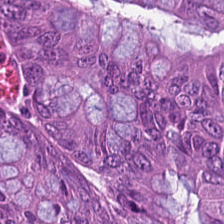Tissue type: colorectal adenocarcinoma epithelium.
